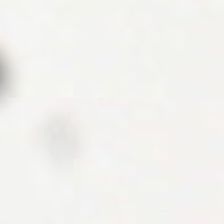224×224 px tile. H&E-stained tissue section. Q: What is shown here?
A: This is background (no tissue).
